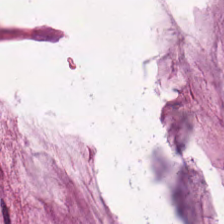H&E patch showing extracellular mucin.
